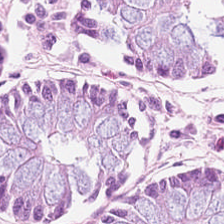Brightfield. H&E. 224×224 px patch.
This field is normal colon mucosa.
